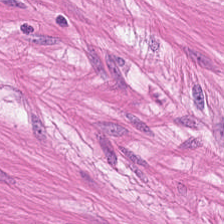FFPE tissue section. Hematoxylin and eosin — This field is smooth-muscle tissue.
